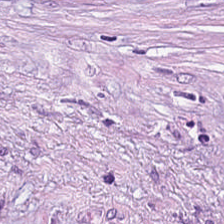H&E stain; brightfield microscopy — Classification — tumor-associated stroma.
